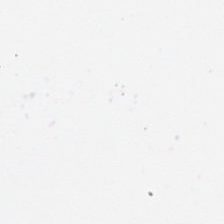Q: What is shown in this field?
A: The field shows background (no tissue).
